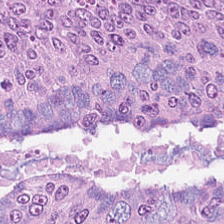H&E stain — The tissue here is malignant epithelium.
